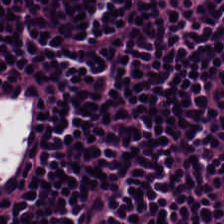Hematoxylin-and-eosin stained section.
This field is lymphocytic infiltrate.
